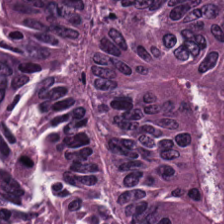Tissue class = tumor epithelium.
